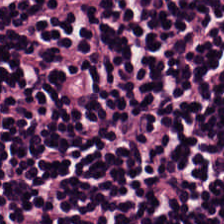Stain: H&E.
Preparation: FFPE tissue section.
Acquisition: brightfield microscopy.
Classification: lymphocyte aggregate.
